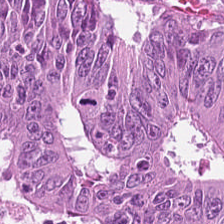Q: Identify the tissue.
A: The field shows colorectal adenocarcinoma.
